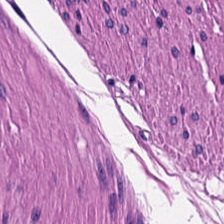H&E-stained tissue section — Showing smooth muscle.
